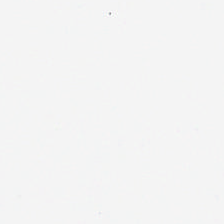H&E-stained tissue section.
The classification is no tissue.
